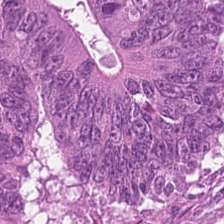The predominant tissue is adenocarcinoma.
